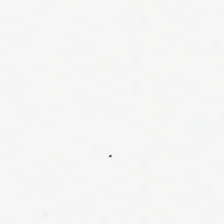Field content: background.
